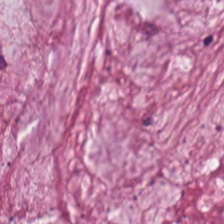H&E-stained section; the field shows extracellular mucin.
